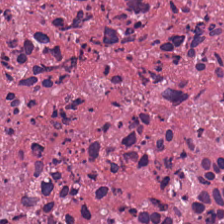H&E-stained tissue section — Debris.
